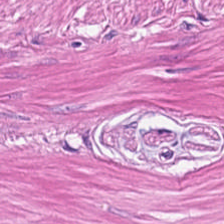Hematoxylin-and-eosin stained section. Predominant tissue: smooth muscle.
